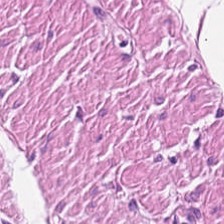H&E · FFPE.
This field is muscularis.
